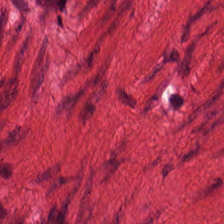Hematoxylin and eosin · brightfield.
Histology — muscularis.
